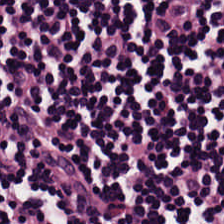Brightfield · H&E-stained tissue section. Predominantly lymphocytes.
